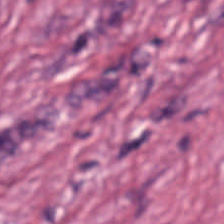Stain: H&E-stained tissue section.
Predominant tissue: tumor stroma.
